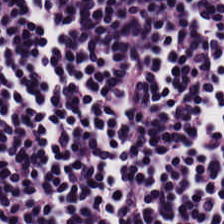Predominantly lymphocytic infiltrate.
